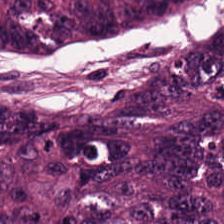Hematoxylin-and-eosin stained section. {"tissue_type": "adenocarcinoma"}
